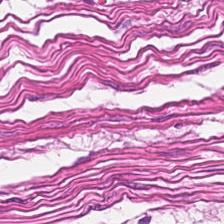H&E. Impression → smooth muscle.
